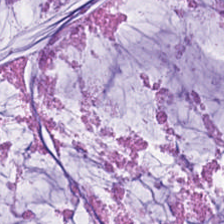Hematoxylin and eosin — The tissue here is extracellular mucin.
